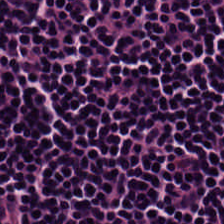H&E stain · brightfield. Lymphocyte aggregate.
